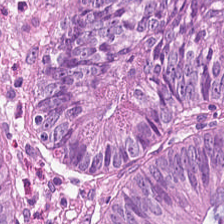H&E-stained tissue section — Q: What is the predominant tissue type?
A: This is malignant epithelium.
